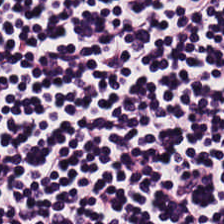Q: What tissue type is shown here?
A: It is lymphocytic infiltrate.
